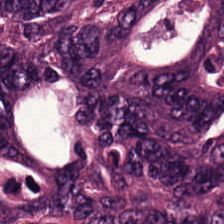Q: What is shown in this field?
A: It is tumor epithelium.
